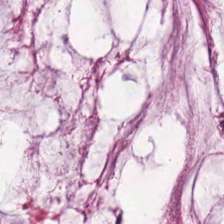Classification = extracellular mucin.
